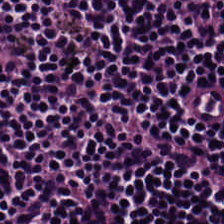Tissue class — lymphocytes.
